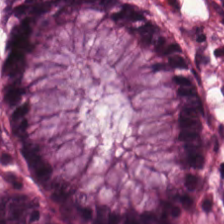H&E stain. This patch shows non-neoplastic colon mucosa.
